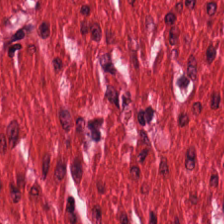Hematoxylin-and-eosin section: smooth muscle.
